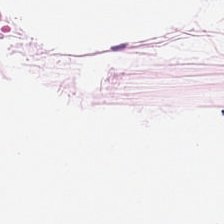H&E-stained tissue section — Q: Identify the tissue.
A: It is adipose.
